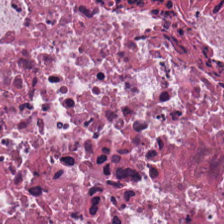Hematoxylin and eosin. Predominantly necrotic debris.
